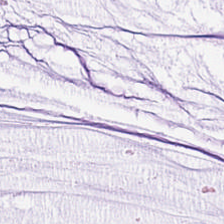0.5 µm per pixel; hematoxylin-and-eosin stained section — Predominant tissue = extracellular mucin.
